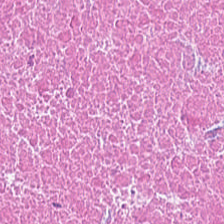This patch shows necrotic debris.
